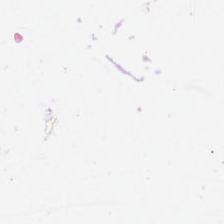H&E-stained tissue section. This patch shows background (no tissue).
